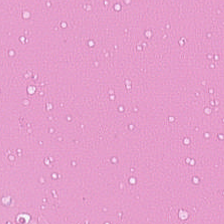Hematoxylin and eosin — The predominant tissue is debris.
